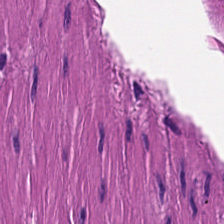H&E. {"tissue_type": "smooth muscle"}
